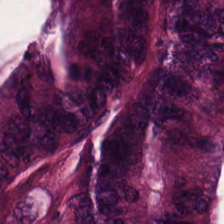Q: What tissue type is shown here?
A: The field shows adenocarcinoma.
